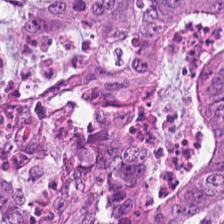H&E · FFPE · 224×224 px patch.
Q: What tissue type is shown here?
A: It is colorectal adenocarcinoma.
